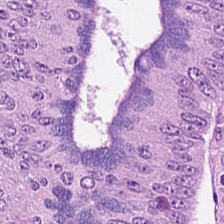Tissue: adenocarcinoma.
